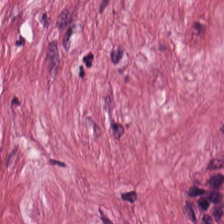FFPE; 0.5 µm/px; H&E-stained tissue section. Cancer-associated stroma.
